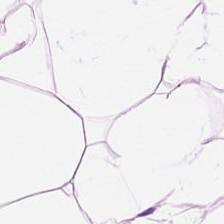Hematoxylin-and-eosin section: adipocytes.
